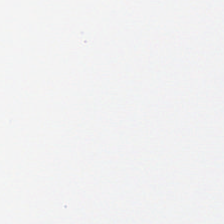Hematoxylin-and-eosin stained section — Content: background.
